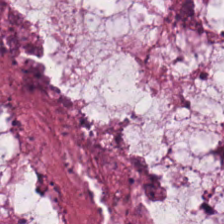H&E-stained tissue section.
Tissue class = extracellular mucin.
